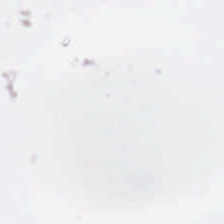Background (no tissue).
